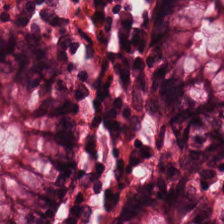20× equivalent magnification. H&E. 224×224 px patch. This field is normal colon mucosa.
